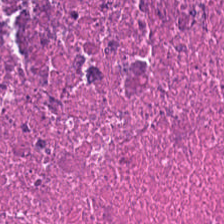Hematoxylin-and-eosin stained section.
The tissue class is cellular debris.
